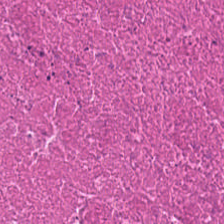H&E stain — This patch shows cellular debris.
